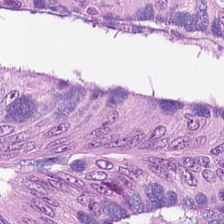Tissue class = colorectal adenocarcinoma epithelium.
